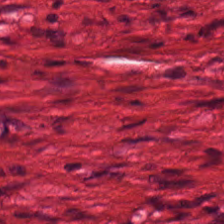H&E. Histology → smooth-muscle tissue.
